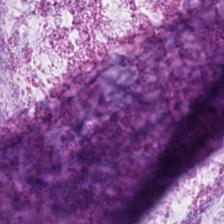Hematoxylin-and-eosin stained section. Finding — mucus.
